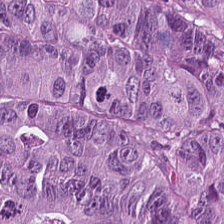H&E; WSI patch. Tissue class = colorectal adenocarcinoma.
